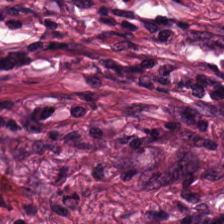Hematoxylin and eosin; 0.5 µm/px. Q: Identify the tissue.
A: Desmoplastic stroma.
